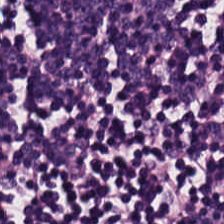H&E-stained tissue section showing lymphoid infiltrate.
